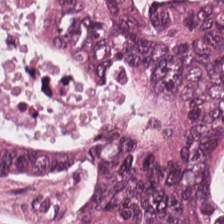20× equivalent magnification · hematoxylin-and-eosin stained section.
Q: What does this patch show?
A: The field shows adenocarcinoma.
